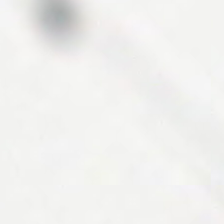Hematoxylin and eosin; formalin-fixed paraffin-embedded section — The field content is background.
